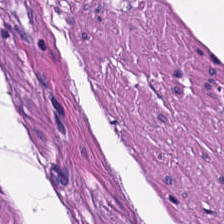Q: What is the predominant tissue type?
A: The field shows muscularis.
